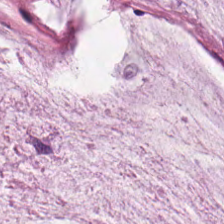Stain: hematoxylin-and-eosin stained section.
Tissue class: mucus.
